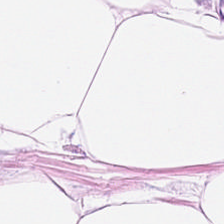Hematoxylin-and-eosin stained section.
Tissue class = adipocytes.
